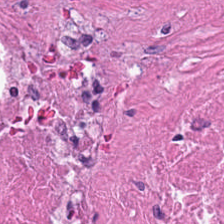Hematoxylin-and-eosin section: debris.
